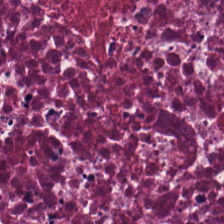Predominant tissue — necrotic debris.
